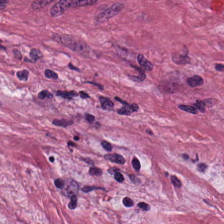The tissue type is cancer-associated stroma.
